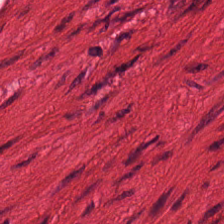Q: What tissue is shown?
A: It is smooth muscle.
